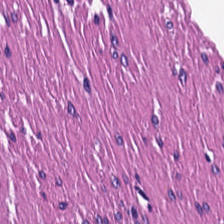This patch shows muscularis.
